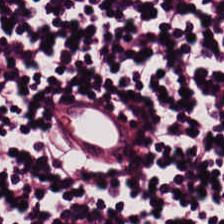H&E. {"tissue_type": "lymphocytes"}
